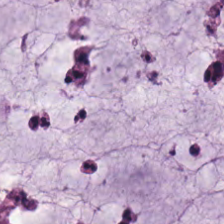Impression — mucin.
